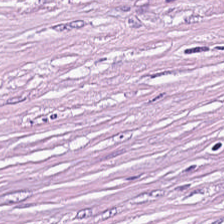Formalin-fixed paraffin-embedded section. H&E-stained tissue section. 0.5 microns per pixel.
Predominant tissue: tumor-associated stroma.
